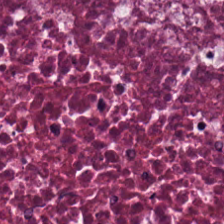The tissue class is debris.
